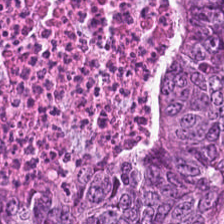FFPE · H&E stain — The tissue here is malignant epithelium.
